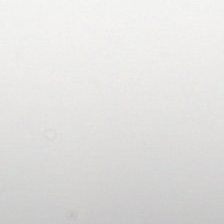The content is background (no tissue).
